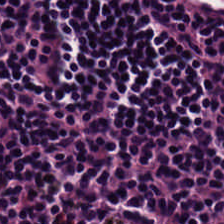H&E — Tissue — lymphocyte aggregate.
